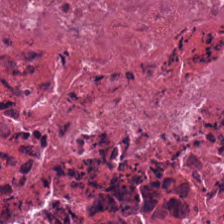Hematoxylin-and-eosin stained section — Q: What is the predominant tissue type?
A: This is cellular debris.
